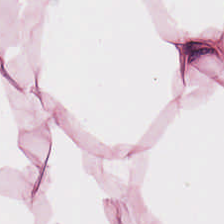Hematoxylin and eosin. WSI patch. 224×224 px patch. Tissue class = adipocytes.
